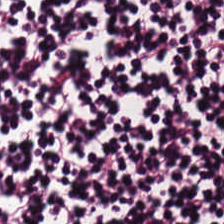WSI patch; hematoxylin-and-eosin stained section — Tissue — lymphocytic infiltrate.
